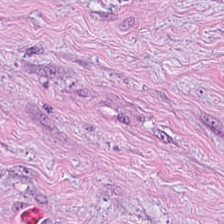{"tissue_type": "cancer-associated stroma"}
